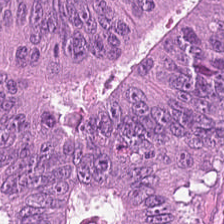Brightfield microscopy; H&E-stained tissue section.
{"tissue_type": "tumor epithelium"}
